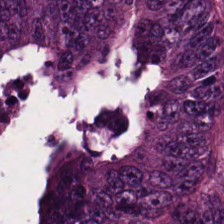224×224 px patch. H&E stain.
The predominant tissue is tumor epithelium.
